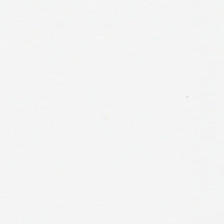Hematoxylin-and-eosin stained section — Background — no tissue in this field.
